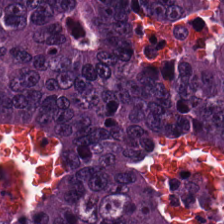H&E-stained tissue section showing colorectal adenocarcinoma epithelium.
